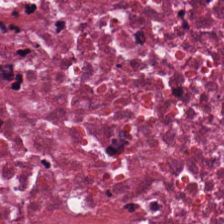Stain: H&E.
Preparation: formalin-fixed paraffin-embedded section.
Tissue: necrotic debris.
